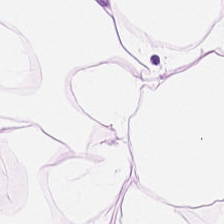Tissue = fat tissue.
